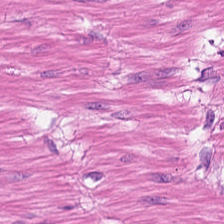Q: What tissue is shown?
A: The field shows smooth-muscle tissue.
